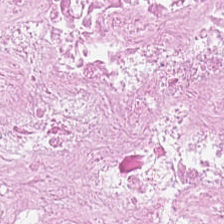Whole-slide-image patch · H&E.
The tissue here is necrotic debris.
